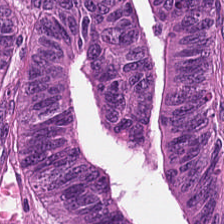H&E — Tissue type = adenocarcinoma.
